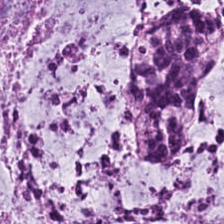Hematoxylin-and-eosin stained section.
Tissue class: mucus.
